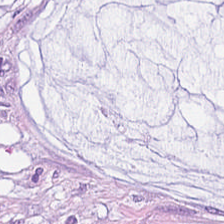{"tissue_type": "extracellular mucin"}
